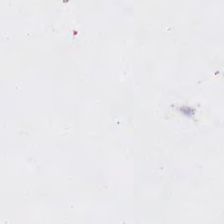Hematoxylin-and-eosin stained section. Q: What does this patch show?
A: Background (no tissue).
